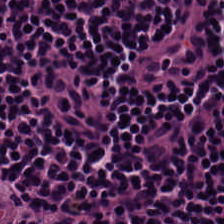Stain: hematoxylin and eosin.
Tissue class: lymphocytes.
